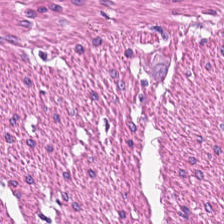H&E.
Showing smooth-muscle tissue.
